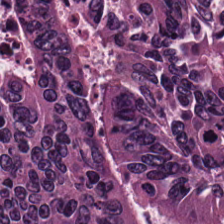WSI patch; hematoxylin and eosin; 20× equivalent magnification — Showing colorectal adenocarcinoma epithelium.
